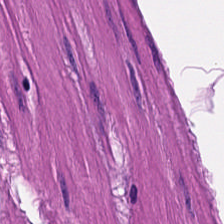Stain: H&E stain.
Tissue: muscularis.
